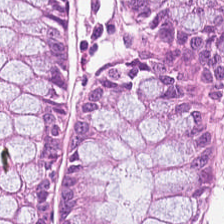Hematoxylin-and-eosin stained section · 224×224 px tile · brightfield.
Predominantly benign colonic mucosa.
